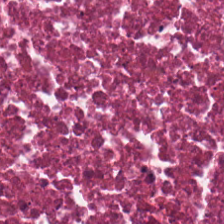0.5 µm per pixel; hematoxylin and eosin; brightfield microscopy.
Predominant tissue = necrotic debris.
